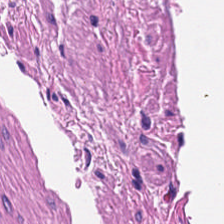H&E-stained tissue section — The classification is smooth muscle.
